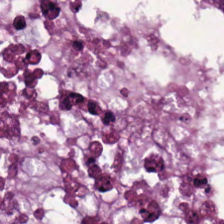This patch shows colorectal adenocarcinoma.
